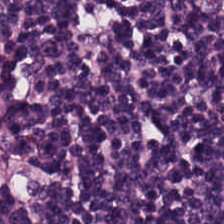H&E-stained tissue section — Lymphoid infiltrate.
